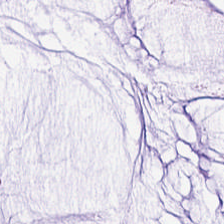H&E · 20× equivalent magnification · brightfield. The tissue here is mucin.
